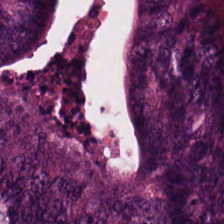The predominant tissue is adenocarcinoma.
